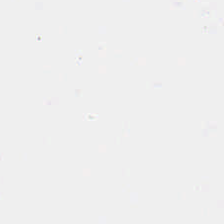Hematoxylin-and-eosin stained section; 20× equivalent magnification; 224×224 px tile. Q: What does this patch show?
A: This is no tissue.
